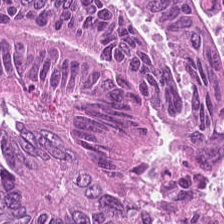Stain: hematoxylin-and-eosin stained section.
Predominant tissue: colorectal adenocarcinoma.
